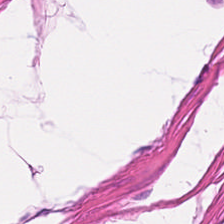Whole-slide-image patch. Hematoxylin and eosin. Classification: smooth muscle.
